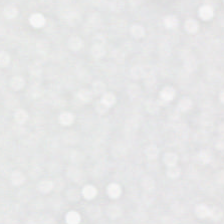Impression → background.
